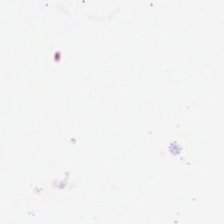Background — no tissue in this field.
